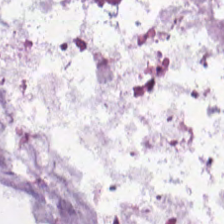H&E-stained tissue section — Tissue type — extracellular mucin.
